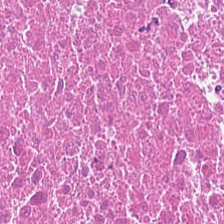H&E-stained section; the field shows necrotic debris.
